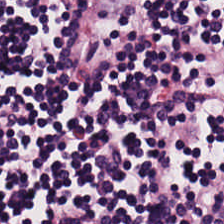Q: Classify this patch.
A: Lymphocyte aggregate.
